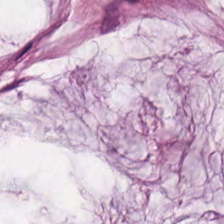Stain: H&E-stained tissue section.
Tile size: 224×224 px tile.
Classification: mucus.
